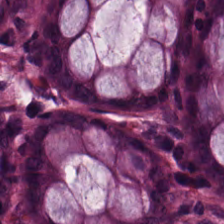0.5 µm/px · H&E · brightfield. This patch shows normal colon mucosa.
